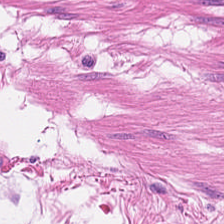H&E — muscularis.
